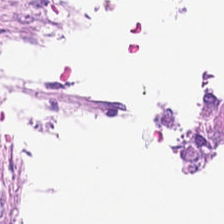H&E — No tissue present; background only.
